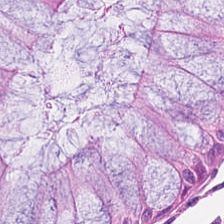Hematoxylin and eosin.
Predominantly benign colonic mucosa.
